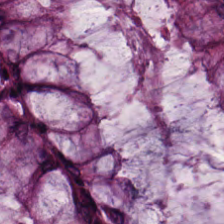The tissue here is normal colon mucosa.
